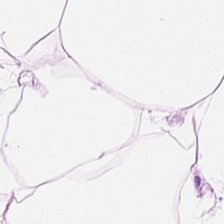FFPE tissue section. H&E-stained tissue section.
This field is fat tissue.
